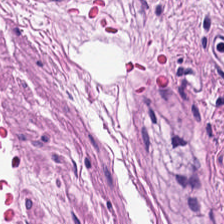Tissue type = smooth muscle.
